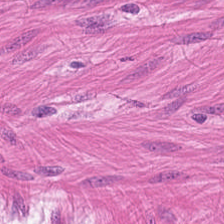Hematoxylin and eosin. Tissue type = muscularis.
